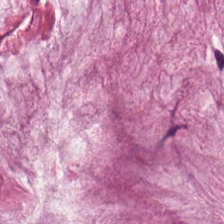Stain: H&E stain.
Tissue type: mucin.
